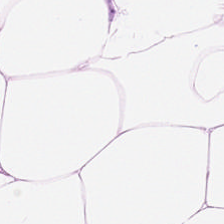H&E.
The tissue here is adipose.
